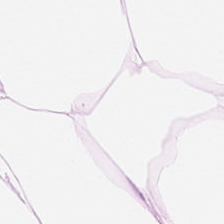Finding — adipocytes.
